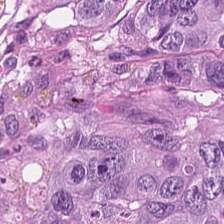FFPE. Hematoxylin and eosin. The tissue here is tumor epithelium.
